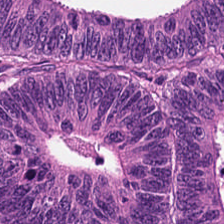H&E — The predominant tissue is malignant epithelium.
